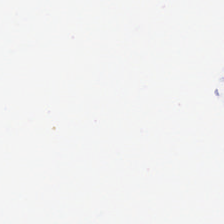Empty field — no tissue.
